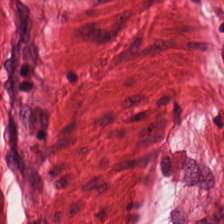Hematoxylin-and-eosin stained section.
Showing smooth-muscle tissue.
